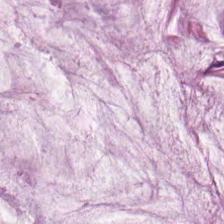Formalin-fixed paraffin-embedded section; brightfield; hematoxylin and eosin. Showing mucin.
